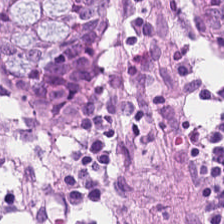Stain: hematoxylin and eosin.
Acquisition: WSI patch.
Resolution: 20× equivalent magnification.
Classification: normal colonic mucosa.
